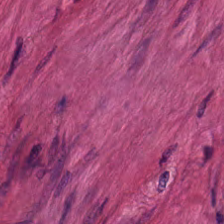H&E — Tissue class — smooth muscle.
